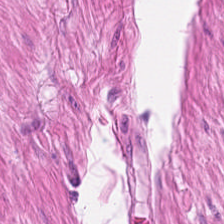H&E stain. The tissue here is smooth muscle.
